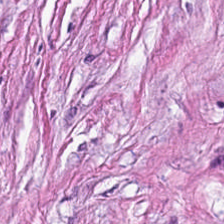Hematoxylin and eosin. The predominant tissue is desmoplastic stroma.
